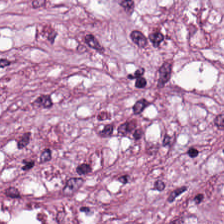H&E.
Tumor-associated stroma.
